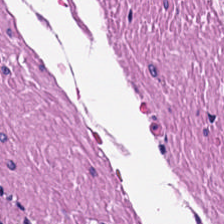H&E-stained tissue section.
Impression — muscularis.
